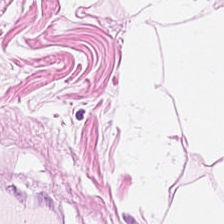Stain: hematoxylin-and-eosin stained section.
Tile size: 224×224 pixel tile.
Acquisition: brightfield microscopy.
Predominant tissue: adipocytes.
